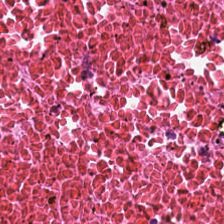H&E-stained tissue section. The tissue type is cellular debris.
